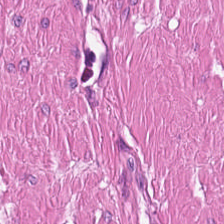H&E · 224×224 px tile — Q: What is shown in this field?
A: Smooth-muscle tissue.
